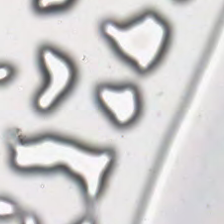H&E-stained tissue section · 20× equivalent magnification. Background (no tissue).
